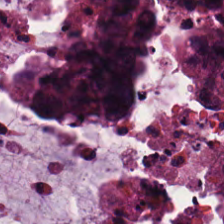Q: What tissue type is shown here?
A: It is mucus.
